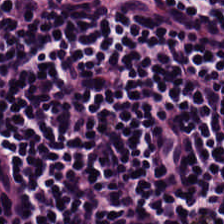H&E-stained tissue section. 20× equivalent magnification — The predominant tissue is lymphocytes.
